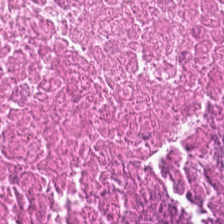Hematoxylin-and-eosin stained section. FFPE tissue section. WSI patch.
Classification — necrotic debris.
